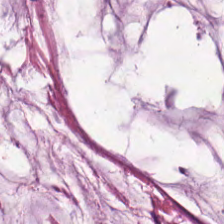Hematoxylin-and-eosin stained section · WSI patch — Predominantly mucin.
